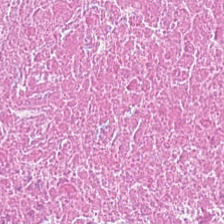Hematoxylin-and-eosin stained section — Debris.
